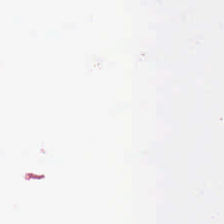H&E stain. Background — no tissue in this field.
